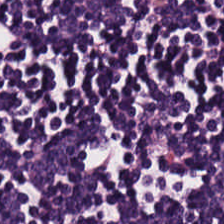Hematoxylin-and-eosin stained section. Showing lymphocyte aggregate.
